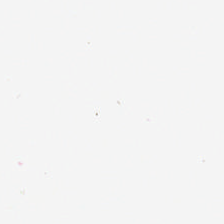224×224 pixel tile. H&E.
Q: What is shown in this field?
A: Background.
